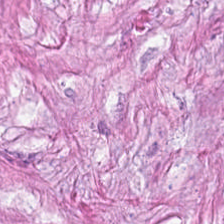H&E patch showing cancer-associated stroma.
